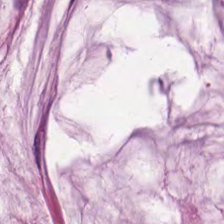H&E stain.
Predominantly extracellular mucin.
